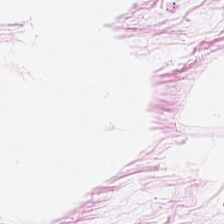Brightfield. H&E stain — This patch shows fat tissue.
